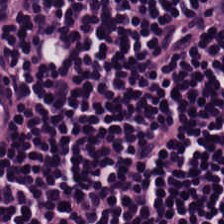H&E-stained tissue section · WSI patch.
Finding → lymphoid infiltrate.
